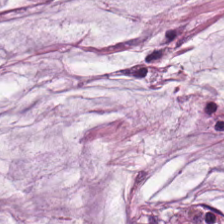Tissue: mucin.
